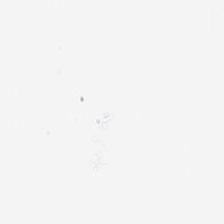{"content": "empty background"}
